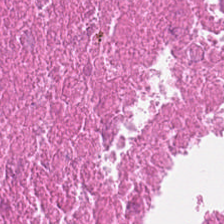Hematoxylin and eosin. Finding → necrotic debris.
